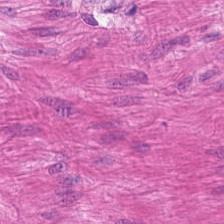224×224 px tile. H&E stain.
Q: Identify the tissue.
A: It is smooth-muscle tissue.
